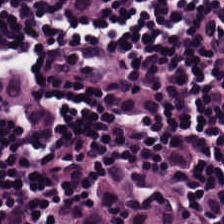Tissue = lymphoid infiltrate.
